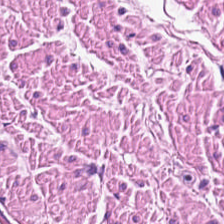H&E — {"tissue_type": "muscularis"}
